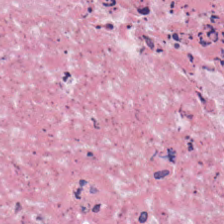Q: What tissue type is shown here?
A: The field shows debris.
